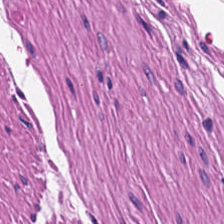H&E-stained section; the field shows smooth muscle.
